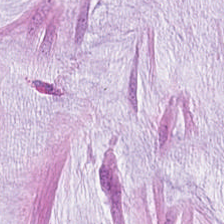Stain: hematoxylin and eosin.
Resolution: 0.5 microns per pixel.
Tissue class: mucin.
